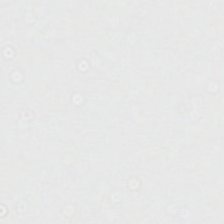Hematoxylin and eosin.
Empty field — background (no tissue).
